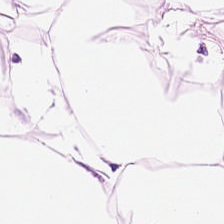Hematoxylin and eosin. Q: What type of tissue is this?
A: The field shows fat tissue.
